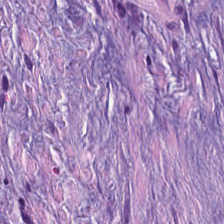Hematoxylin-and-eosin stained section.
Predominantly tumor stroma.
